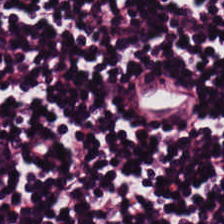H&E · 20× equivalent magnification — This field is lymphoid infiltrate.
